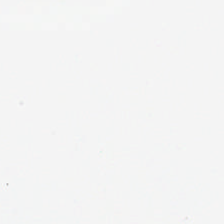Stain: hematoxylin and eosin.
Classification: background (no tissue).
